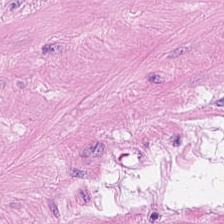H&E stain.
This field is smooth muscle.
